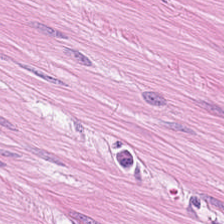Tissue class = smooth muscle.
